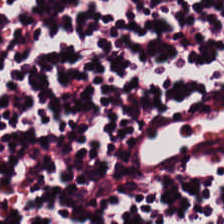224×224 px patch. H&E stain. Q: What tissue is shown?
A: The field shows lymphocytes.
